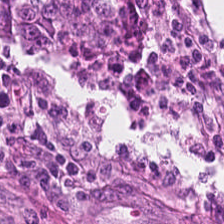Hematoxylin-and-eosin stained section. The predominant tissue is tumor epithelium.
